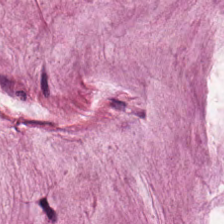Hematoxylin and eosin. The classification is mucin.
